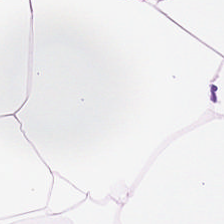Hematoxylin-and-eosin stained section.
The predominant tissue is fat tissue.
